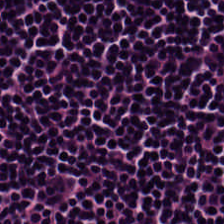H&E.
The predominant tissue is lymphocyte aggregate.
